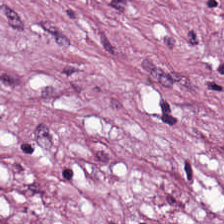The predominant tissue is tumor-associated stroma.
